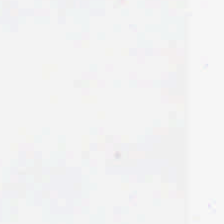Hematoxylin and eosin.
Field content — empty background.
